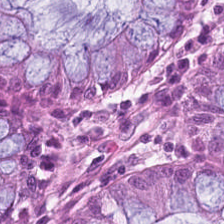H&E. Q: What does this patch show?
A: The field shows normal colon mucosa.
